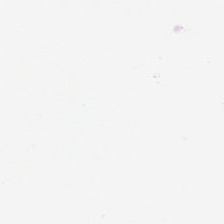Hematoxylin-and-eosin stained section.
Content = background.
